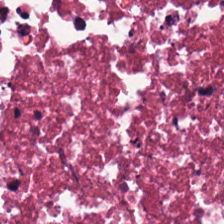H&E-stained tissue section; 0.5 µm/px.
Q: What is shown here?
A: The field shows debris.
